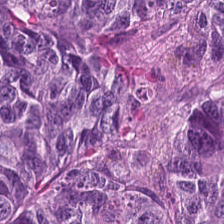FFPE tissue section; H&E — Tissue — colorectal adenocarcinoma.
